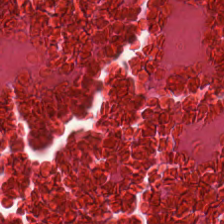This field is debris.
